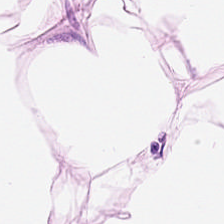224×224 pixel tile. H&E stain. Formalin-fixed paraffin-embedded section.
This field is fat tissue.
